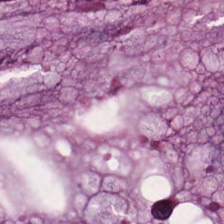The predominant tissue is mucin.
